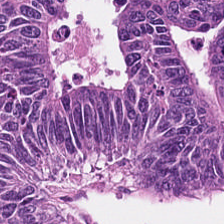Stain: hematoxylin and eosin.
Tissue: adenocarcinoma.
